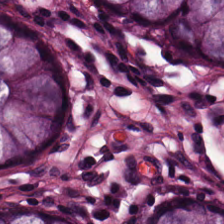H&E stain — Predominant tissue — non-neoplastic colon mucosa.
